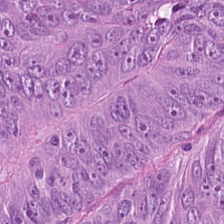H&E-stained section; the field shows colorectal adenocarcinoma epithelium.
